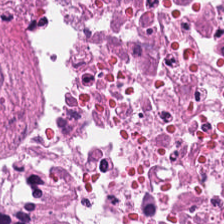Hematoxylin-and-eosin stained section. The predominant tissue is debris.
